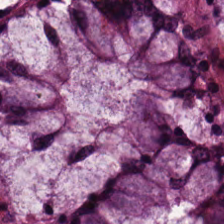H&E — Q: What does this patch show?
A: The field shows normal colon mucosa.
